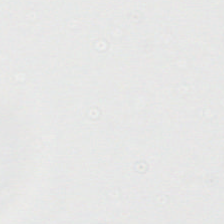Stain: H&E stain.
Content: background (no tissue).
